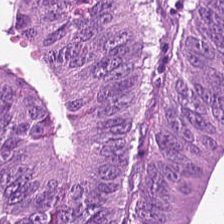H&E-stained tissue section.
Predominantly colorectal adenocarcinoma epithelium.
